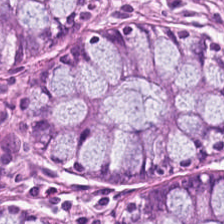Hematoxylin and eosin · whole-slide-image patch. Finding — normal colon mucosa.
